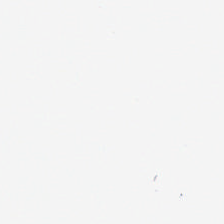Brightfield microscopy. Hematoxylin and eosin. FFPE tissue section.
Empty field — background.
